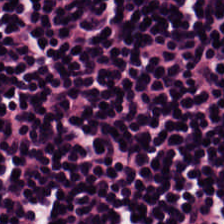This field is lymphocytes.
